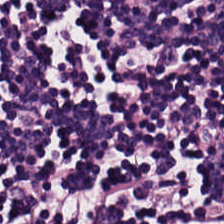Hematoxylin and eosin — The predominant tissue is lymphocytic infiltrate.
